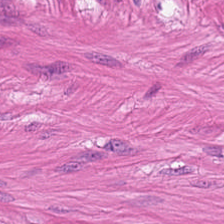H&E stain.
Histology → muscularis.
